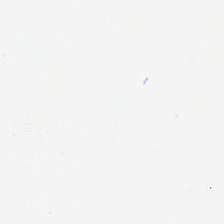H&E stain; formalin-fixed paraffin-embedded section. Classification: empty background.
